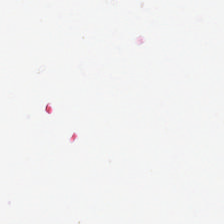0.5 µm/px · FFPE tissue section · hematoxylin-and-eosin stained section. Finding → background (no tissue).
